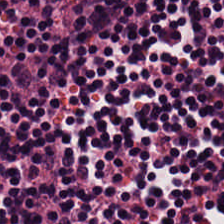Formalin-fixed paraffin-embedded section · 224×224 pixel tile · H&E-stained tissue section. Lymphoid infiltrate.
